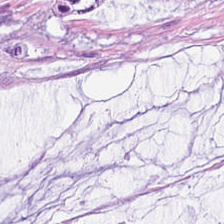Impression — mucin.
